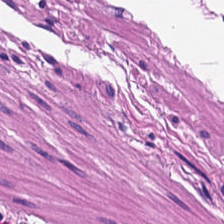H&E-stained tissue section. FFPE tissue section. 224×224 pixel tile. Q: What is the predominant tissue type?
A: It is smooth muscle.
